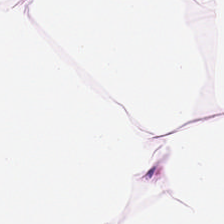H&E-stained tissue section. Tissue: adipose.
